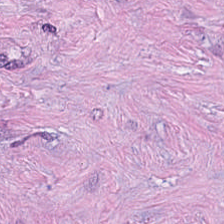H&E-stained tissue section. Impression → tumor stroma.
